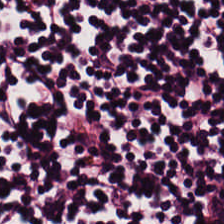FFPE; H&E stain; 0.5 µm per pixel.
Impression → lymphocyte aggregate.
